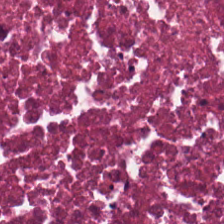Stain: H&E.
Tissue type: cellular debris.
